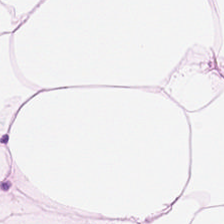Showing adipose tissue.
